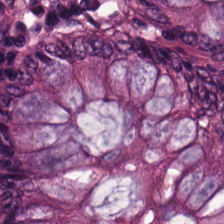224×224 px tile; H&E stain — Predominant tissue — benign colonic mucosa.
